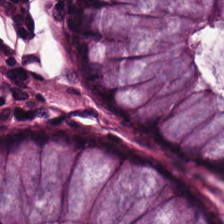Q: What is the predominant tissue type?
A: This is non-neoplastic colon mucosa.
